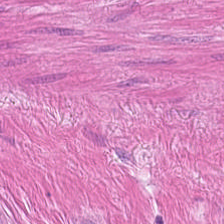H&E-stained tissue section.
Showing smooth-muscle tissue.
